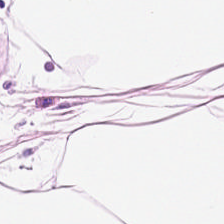FFPE tissue section. H&E.
Q: What is the predominant tissue type?
A: This is fat tissue.
